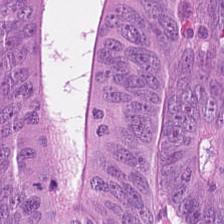Classification = colorectal adenocarcinoma.
